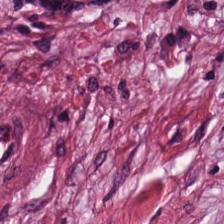Tissue type: tumor stroma.
